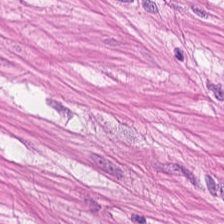Stain: hematoxylin and eosin.
Tile size: 224×224 px patch.
Acquisition: WSI patch.
Tissue: smooth muscle.
